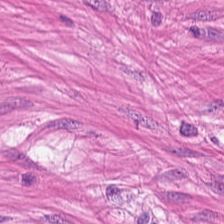H&E stain. Smooth-muscle tissue.
